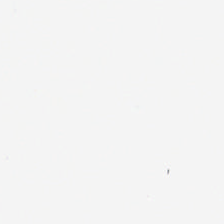Brightfield microscopy · H&E-stained tissue section — Finding → background.
